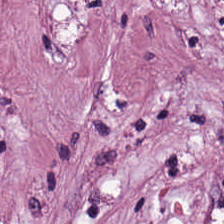Hematoxylin and eosin. FFPE. 224×224 pixel tile.
Tumor stroma.
